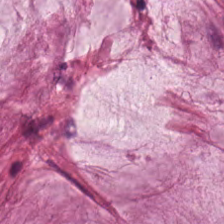H&E stain; whole-slide-image patch; 224×224 pixel tile.
The predominant tissue is extracellular mucin.
